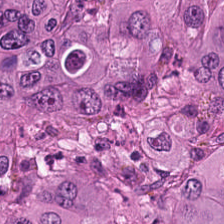FFPE; brightfield; H&E stain — This field is tumor epithelium.
